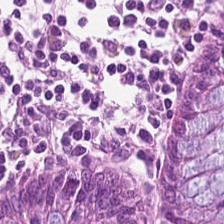Hematoxylin and eosin · whole-slide-image patch · 224×224 px tile. Benign colonic mucosa.
